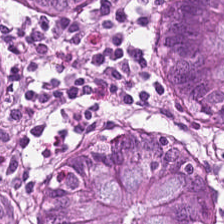Stain: H&E.
Predominant tissue: normal colon mucosa.
